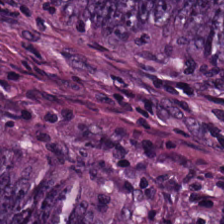H&E — colorectal adenocarcinoma.
